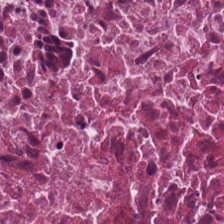Stain: H&E stain.
Predominant tissue: cellular debris.
